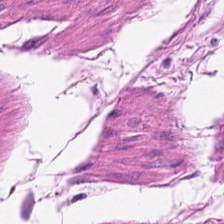Q: What is the predominant tissue type?
A: The field shows smooth-muscle tissue.
